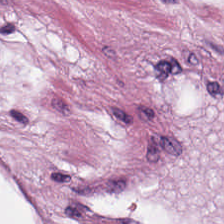Stain: hematoxylin and eosin.
Preparation: FFPE.
Predominant tissue: adipose tissue.
